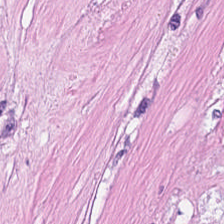0.5 microns per pixel; H&E; 224×224 px tile.
Q: What tissue type is shown here?
A: It is debris.
